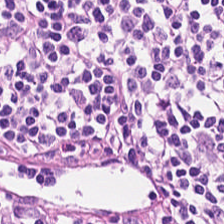H&E.
Impression — lymphoid infiltrate.
